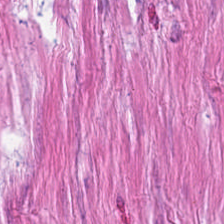H&E. FFPE.
Classification = smooth muscle.
